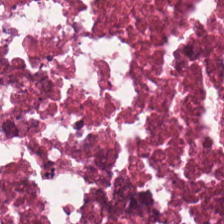H&E-stained tissue section — Histology — necrotic debris.
